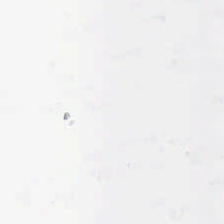Hematoxylin-and-eosin stained section — Background — no tissue in this field.
